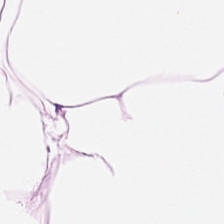Hematoxylin-and-eosin stained section. Q: What does this patch show?
A: This is fat tissue.
